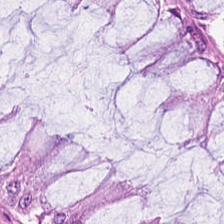Hematoxylin-and-eosin stained section.
Q: Identify the tissue.
A: Benign colonic mucosa.
